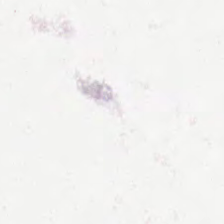No tissue present; background only.
